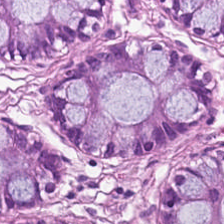Impression — normal colonic mucosa.
